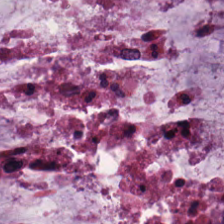224×224 pixel tile. Hematoxylin and eosin. Predominant tissue = mucin.
